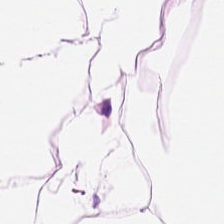Brightfield; H&E-stained tissue section — This patch shows adipocytes.
